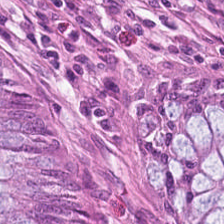Classification: normal colon mucosa.
